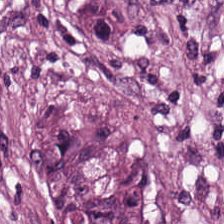H&E. Tissue = tumor stroma.
